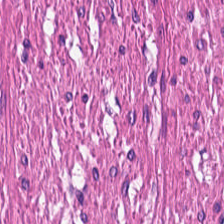H&E-stained tissue section — The tissue type is smooth-muscle tissue.
